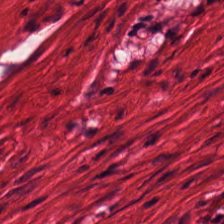The predominant tissue is smooth-muscle tissue.
